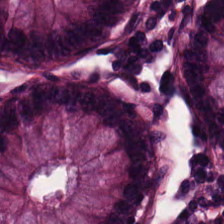WSI patch · H&E stain.
Tissue = normal colonic mucosa.
